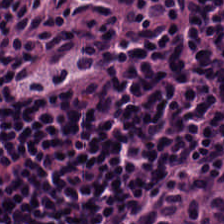H&E stain.
Showing lymphocytes.
